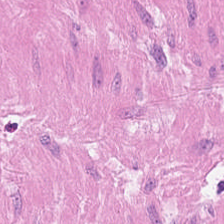Q: What type of tissue is this?
A: This is smooth muscle.
